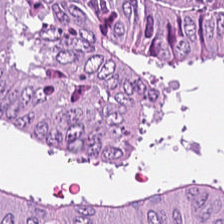224×224 px patch; H&E. Tissue = tumor epithelium.
